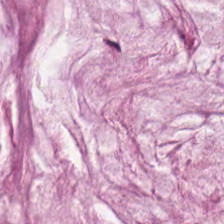H&E stain. FFPE. 224×224 pixel tile.
Classification = extracellular mucin.
